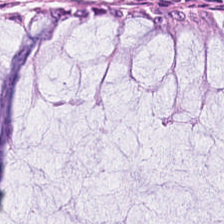H&E stain · 224×224 pixel tile. {"tissue_type": "benign colonic mucosa"}
